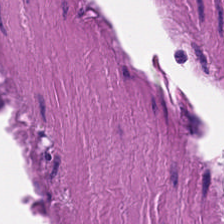224×224 px tile · H&E-stained tissue section. The classification is smooth muscle.
